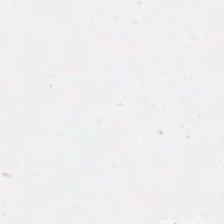Hematoxylin-and-eosin stained section — The classification is background (no tissue).
